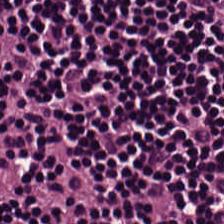H&E-stained tissue section — Q: What type of tissue is this?
A: This is lymphocyte aggregate.
